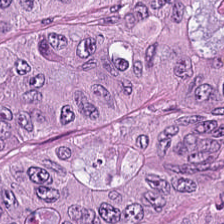Stain: H&E stain.
Tile size: 224×224 pixel tile.
Predominant tissue: adenocarcinoma.
